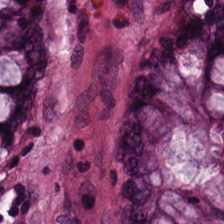H&E stain — Impression — normal colonic mucosa.
